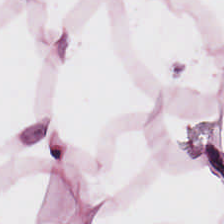H&E stain. Tissue class: adipocytes.
